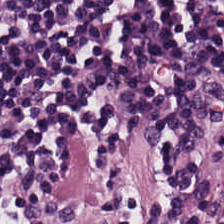Stain: H&E-stained tissue section.
Acquisition: WSI patch.
Tissue type: lymphocytes.
